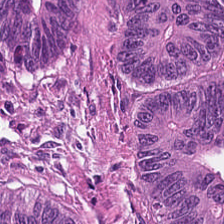H&E-stained tissue section showing colorectal adenocarcinoma epithelium.
